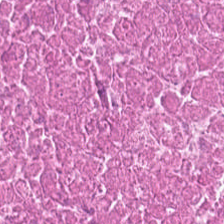Stain: hematoxylin and eosin.
Classification: debris.
